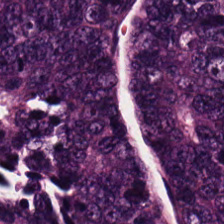H&E-stained tissue section. The tissue here is adenocarcinoma.
